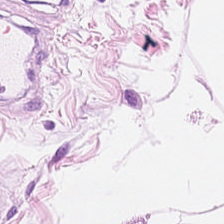Hematoxylin and eosin.
Q: Identify the tissue.
A: Adipocytes.
